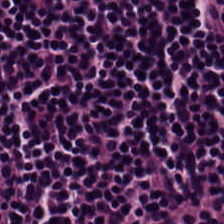H&E stain; 224×224 pixel tile.
The predominant tissue is lymphocytic infiltrate.
